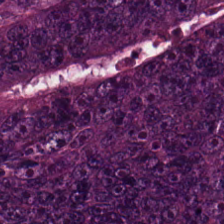FFPE tissue section; 224×224 px tile; H&E stain. The tissue here is tumor epithelium.
